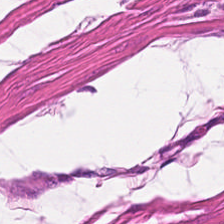Hematoxylin-and-eosin stained section · 0.5 µm per pixel · 224×224 px tile. The tissue here is smooth muscle.
